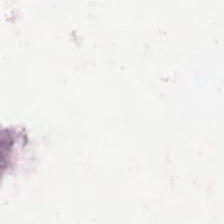This field is background (no tissue).
